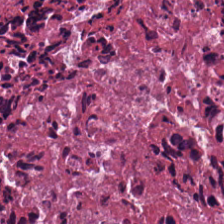H&E — Predominant tissue — cellular debris.
